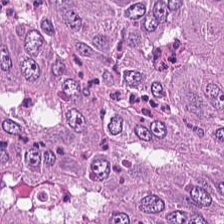H&E; 224×224 pixel tile.
The tissue class is malignant epithelium.
